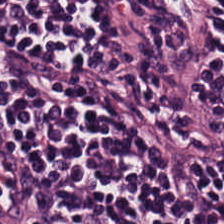Hematoxylin-and-eosin section: lymphocytes.
